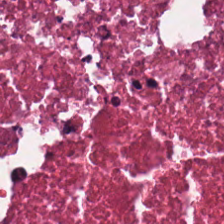H&E-stained tissue section — Tissue type: necrotic debris.
